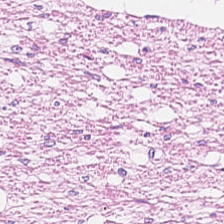Predominant tissue — muscularis.
